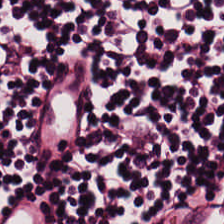H&E stain; 224×224 px tile.
Classification = lymphocyte aggregate.
